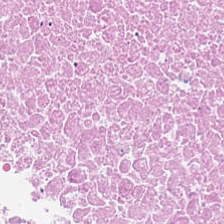H&E stain. The tissue here is cellular debris.
